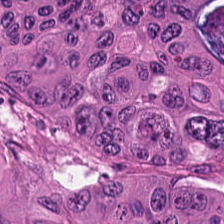Q: Classify this patch.
A: The field shows colorectal adenocarcinoma epithelium.
